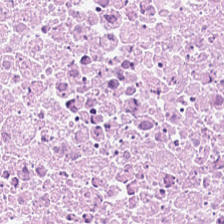Classification — necrotic debris.
